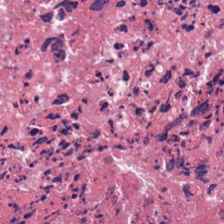Hematoxylin-and-eosin stained section; whole-slide-image patch — This field is debris.
